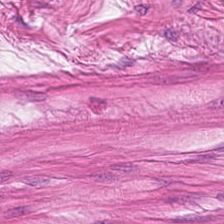224×224 px tile; H&E; brightfield microscopy — Tissue: smooth-muscle tissue.
